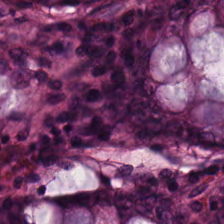Hematoxylin and eosin — This patch shows normal colon mucosa.
